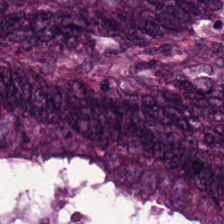Classification: malignant epithelium.
